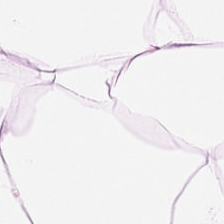Stain: H&E-stained tissue section.
Preparation: formalin-fixed paraffin-embedded section.
Tile size: 224×224 px tile.
Predominant tissue: adipose.
